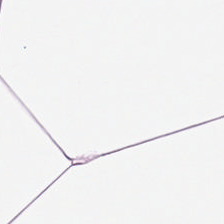Impression → adipocytes.
